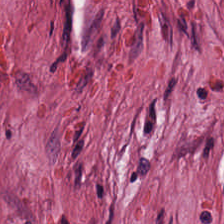224×224 px tile; FFPE tissue section; H&E stain. Q: What is shown in this field?
A: Desmoplastic stroma.
